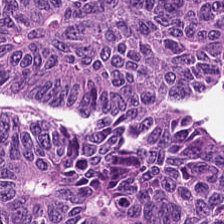The tissue here is tumor epithelium.
